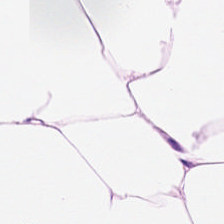Predominant tissue — adipocytes.
